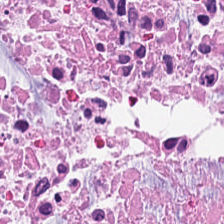{"tissue_type": "necrotic debris"}
